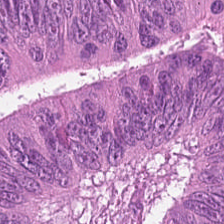Q: What is shown in this field?
A: The field shows colorectal adenocarcinoma.
